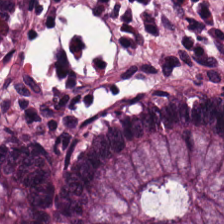Stain: H&E-stained tissue section.
Tile size: 224×224 px tile.
Resolution: 0.5 µm/px.
Classification: normal colon mucosa.
